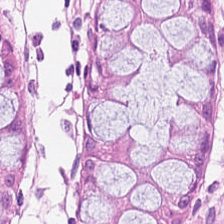H&E · FFPE.
Predominant tissue: non-neoplastic colon mucosa.
